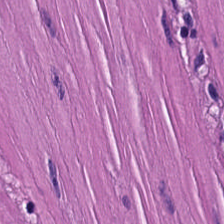H&E-stained tissue section.
Histology — smooth muscle.
